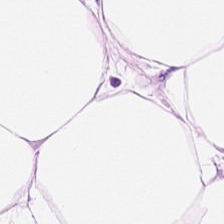Q: What is shown in this field?
A: This is adipose tissue.
